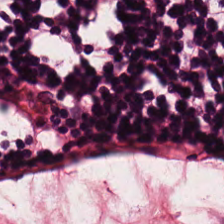H&E. 0.5 µm per pixel — The tissue is lymphocytic infiltrate.
